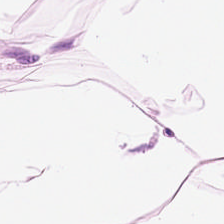Hematoxylin-and-eosin stained section — {"tissue_type": "adipocytes"}
